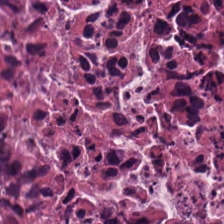H&E-stained tissue section showing debris.
